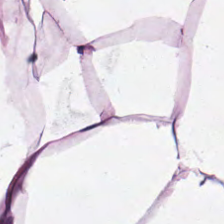Stain: H&E-stained tissue section.
Tile size: 224×224 px tile.
Classification: fat tissue.
